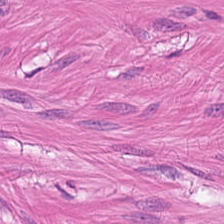Hematoxylin and eosin; formalin-fixed paraffin-embedded section.
Q: What tissue type is shown here?
A: The field shows smooth muscle.
